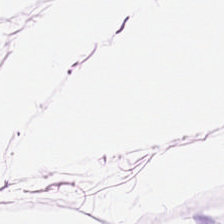H&E-stained tissue section. Brightfield microscopy. Adipose tissue.
